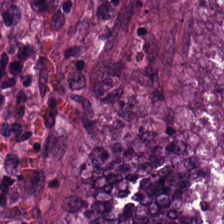H&E.
{"tissue_type": "malignant epithelium"}
